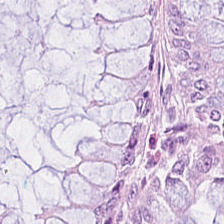224×224 px tile · H&E. Q: What tissue type is shown here?
A: It is non-neoplastic colon mucosa.
